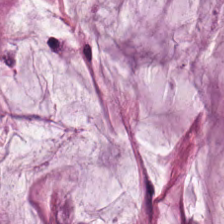{"tissue_type": "extracellular mucin"}
